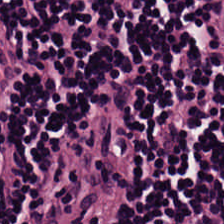0.5 microns per pixel; hematoxylin and eosin; 224×224 pixel tile. Showing lymphocyte aggregate.
